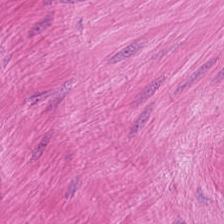H&E-stained tissue section — Muscularis.
